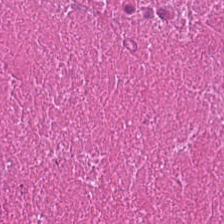0.5 µm/px · H&E-stained tissue section.
Tissue class — cellular debris.
